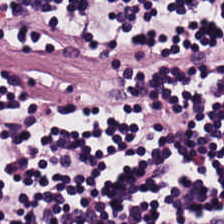Stain: hematoxylin-and-eosin stained section.
Resolution: 0.5 µm/px.
Classification: lymphocytic infiltrate.
